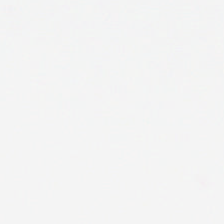Classification: background (no tissue).
